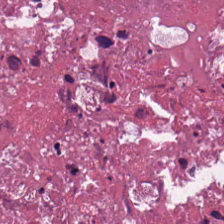Hematoxylin and eosin. 0.5 µm/px. 224×224 pixel tile. Impression → necrotic debris.
